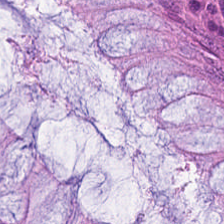Hematoxylin-and-eosin stained section — {"tissue_type": "benign colonic mucosa"}
